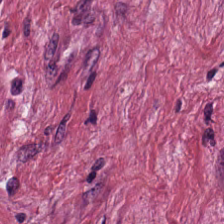Hematoxylin and eosin. Finding — cancer-associated stroma.
